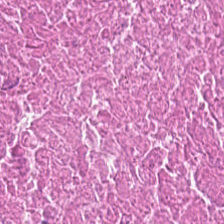20× equivalent magnification · H&E-stained tissue section · 224×224 px patch.
Predominant tissue — debris.
